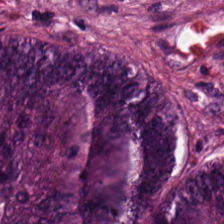H&E stain. 224×224 px tile — Predominant tissue: colorectal adenocarcinoma epithelium.
